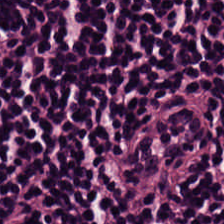Hematoxylin and eosin. Showing lymphoid infiltrate.
